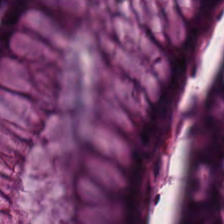Formalin-fixed paraffin-embedded section · hematoxylin-and-eosin stained section · 20× equivalent magnification.
Classification: normal colonic mucosa.
